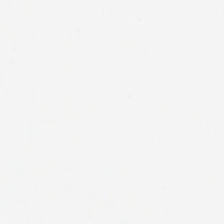Hematoxylin-and-eosin stained section. Q: What is shown here?
A: The field shows background (no tissue).
